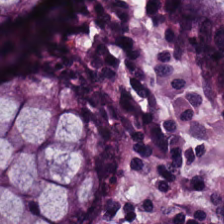224×224 px patch · H&E stain · FFPE tissue section — Q: What tissue type is shown here?
A: The field shows normal colon mucosa.
